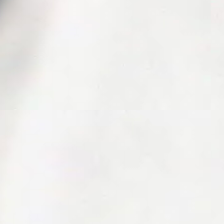This patch shows background.
